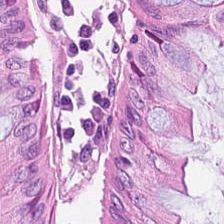Histology — benign colonic mucosa.
